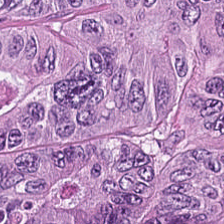FFPE tissue section · WSI patch · H&E stain — Adenocarcinoma.
